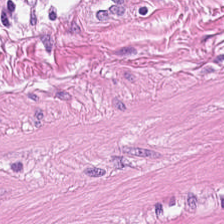224×224 px patch; H&E stain; whole-slide-image patch. {"tissue_type": "smooth-muscle tissue"}
